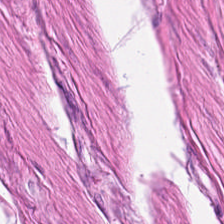Q: What is shown here?
A: This is smooth muscle.
